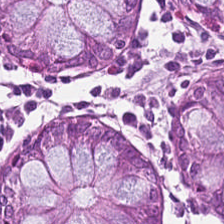Predominantly normal colonic mucosa.
